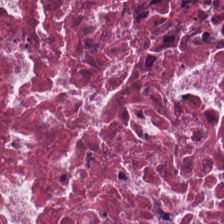H&E.
The tissue here is debris.
